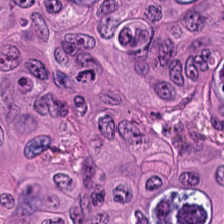Hematoxylin and eosin — {"tissue_type": "adenocarcinoma"}
